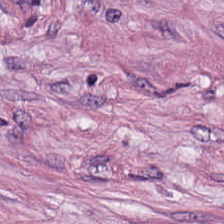Tissue type = desmoplastic stroma.
